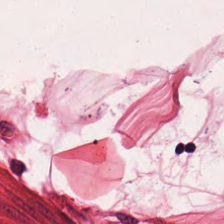H&E · 224×224 px patch — Q: What tissue type is shown here?
A: This is muscularis.
